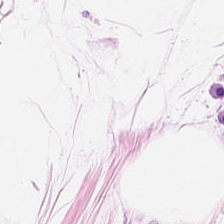Stain: H&E.
Acquisition: brightfield microscopy.
Preparation: FFPE tissue section.
Tissue type: adipocytes.
